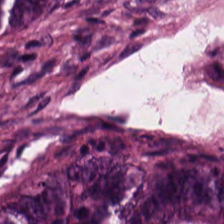WSI patch; H&E stain; 224×224 pixel tile. Tissue type — colorectal adenocarcinoma epithelium.
